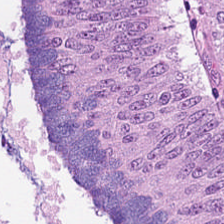Tissue = adenocarcinoma.
